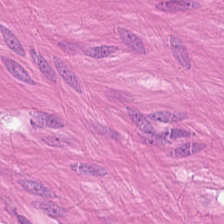Hematoxylin and eosin — Impression → smooth muscle.
